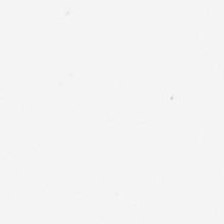Content = no tissue.
